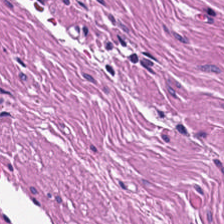Stain: H&E stain.
Predominant tissue: muscularis.
